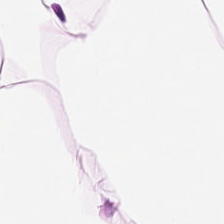Stain: hematoxylin and eosin.
Classification: adipose tissue.
